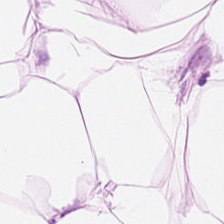This field is adipocytes.
